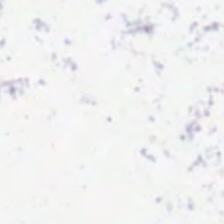Finding — background.
